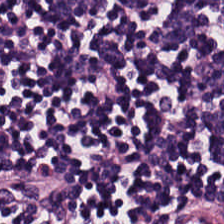Hematoxylin-and-eosin stained section. 0.5 µm/px. This patch shows lymphoid infiltrate.
